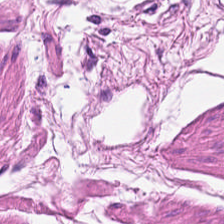H&E.
The tissue class is smooth-muscle tissue.
